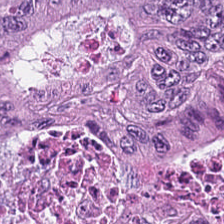H&E stain — Q: What is shown in this field?
A: This is malignant epithelium.
